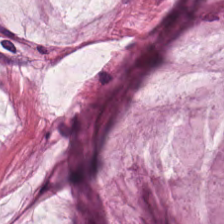Showing extracellular mucin.
